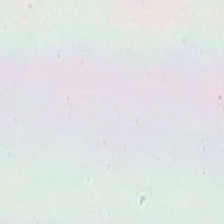Hematoxylin-and-eosin stained section; 224×224 pixel tile. Content: background (no tissue).
